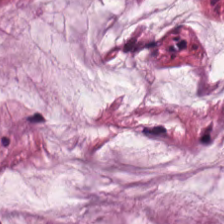Hematoxylin and eosin.
{"tissue_type": "mucin"}
